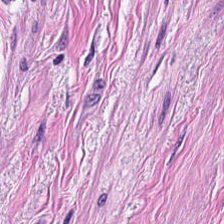H&E.
Finding — smooth-muscle tissue.
